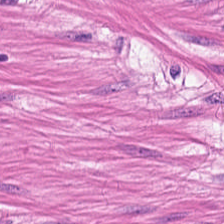H&E-stained tissue section.
Showing muscularis.
